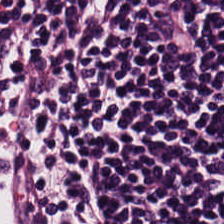Hematoxylin and eosin. Impression → lymphoid infiltrate.
